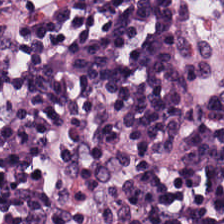Hematoxylin and eosin. Lymphocyte aggregate.
